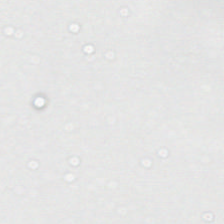20× equivalent magnification. Hematoxylin-and-eosin stained section — Q: What is shown in this field?
A: This is background (no tissue).
